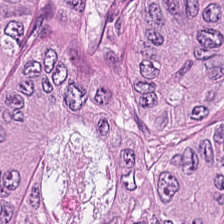Hematoxylin and eosin — Finding → malignant epithelium.
